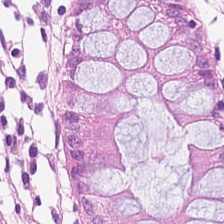Tissue — non-neoplastic colon mucosa.
